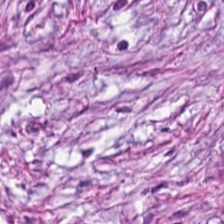Stain: hematoxylin-and-eosin stained section.
Tissue type: tumor-associated stroma.
